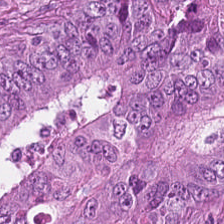{"tissue_type": "colorectal adenocarcinoma"}
